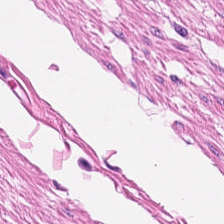H&E stain; 0.5 microns per pixel — {"tissue_type": "smooth muscle"}
